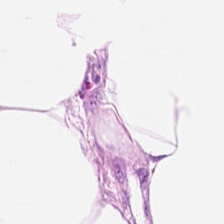H&E stain — Finding → fat tissue.
